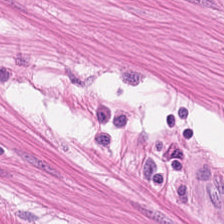H&E.
Tissue type = smooth muscle.
